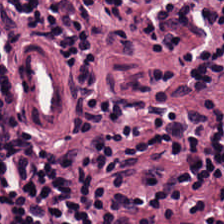H&E.
Tissue type: lymphocytes.
